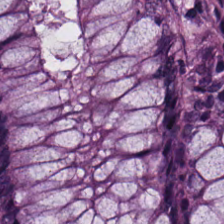WSI patch. Hematoxylin-and-eosin stained section.
Impression → normal colonic mucosa.
